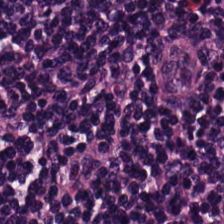Q: What type of tissue is this?
A: It is lymphocytes.
